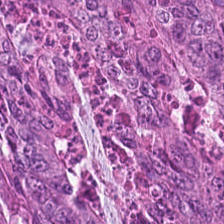H&E · brightfield.
Tissue type = colorectal adenocarcinoma.
